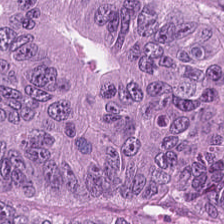The tissue type is colorectal adenocarcinoma epithelium.
